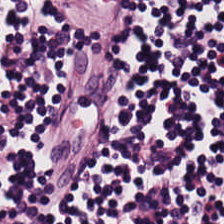Hematoxylin-and-eosin stained section. 224×224 px tile. Classification: lymphocytic infiltrate.
